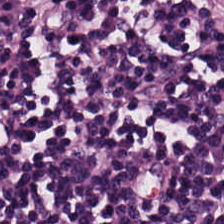Hematoxylin and eosin; 224×224 pixel tile; FFPE tissue section — Tissue — lymphocytic infiltrate.
